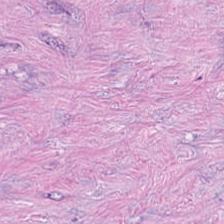Whole-slide-image patch. H&E — The tissue here is tumor-associated stroma.
